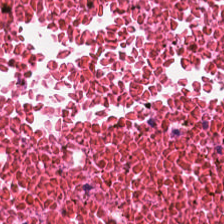Brightfield microscopy; FFPE; hematoxylin-and-eosin stained section.
Showing debris.
